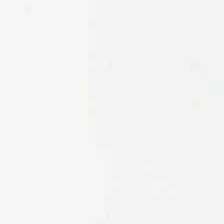{"content": "background"}
